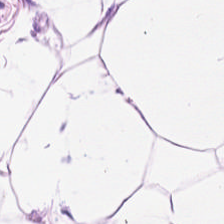Adipocytes.
